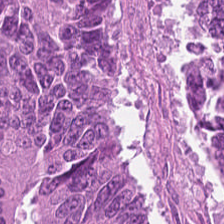Hematoxylin and eosin. Brightfield microscopy. 224×224 px tile.
Q: What does this patch show?
A: Malignant epithelium.
